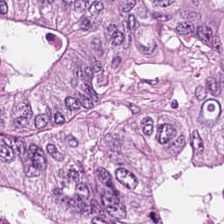H&E-stained tissue section. 224×224 pixel tile.
Predominant tissue: tumor epithelium.
